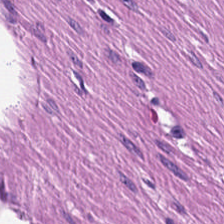H&E stain — Q: What is shown in this field?
A: Smooth muscle.
